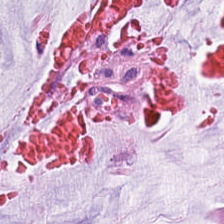H&E-stained tissue section; formalin-fixed paraffin-embedded section.
Histology → mucin.
